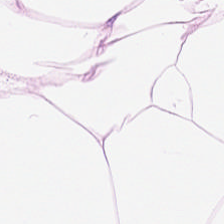H&E-stained tissue section; 224×224 px tile — Q: What does this patch show?
A: It is adipose tissue.
